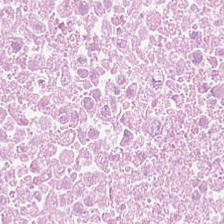H&E stain — Classification — debris.
